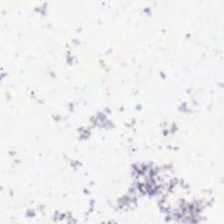Hematoxylin and eosin — The classification is background (no tissue).
